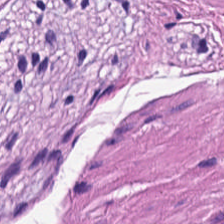Formalin-fixed paraffin-embedded section. H&E.
The tissue here is muscularis.
